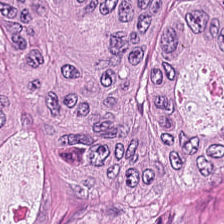H&E.
The predominant tissue is colorectal adenocarcinoma.
